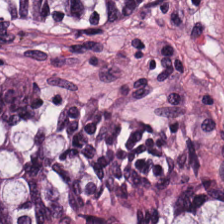FFPE. Hematoxylin and eosin.
Predominantly benign colonic mucosa.
